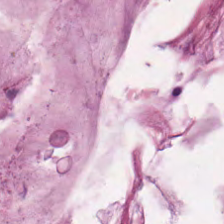H&E stain. The predominant tissue is extracellular mucin.
